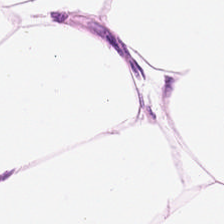Q: What tissue is shown?
A: It is fat tissue.
